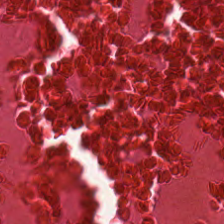Hematoxylin-and-eosin stained section · 0.5 microns per pixel.
Predominantly necrotic debris.
